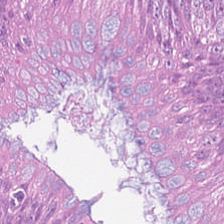H&E-stained tissue section.
Showing colorectal adenocarcinoma epithelium.
